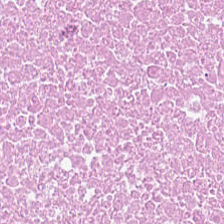Hematoxylin-and-eosin stained section.
{"tissue_type": "cellular debris"}
